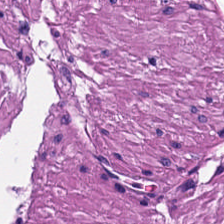H&E stain — This field is muscularis.
